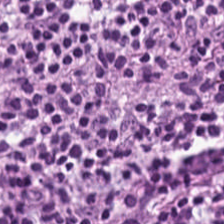Hematoxylin-and-eosin stained section. {"tissue_type": "lymphocyte aggregate"}
